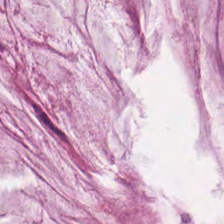H&E stain. Brightfield microscopy. 0.5 microns per pixel.
Predominant tissue = mucin.
